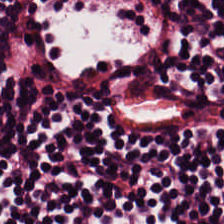H&E-stained tissue section. This field is lymphocytic infiltrate.
